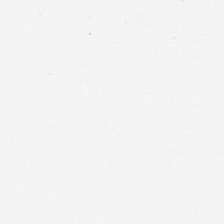H&E stain — Content: empty background.
